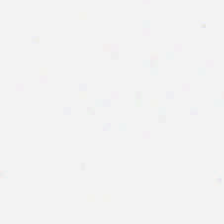H&E stain — {"content": "background (no tissue)"}
